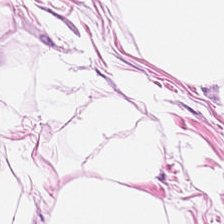H&E. Histology → fat tissue.
